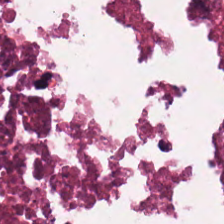Stain: H&E stain.
Classification: necrotic debris.
